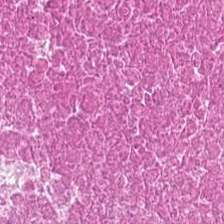Tissue class = necrotic debris.
